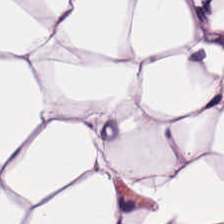Stain: H&E stain.
Predominant tissue: adipocytes.
